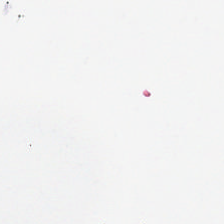This patch shows empty background.
